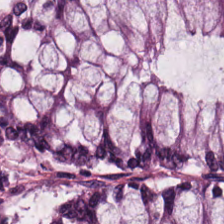224×224 px patch · H&E stain · FFPE tissue section.
Q: What tissue is shown?
A: This is normal colon mucosa.
